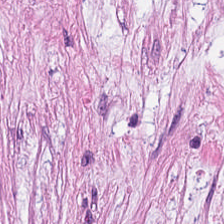This field is tumor-associated stroma.
